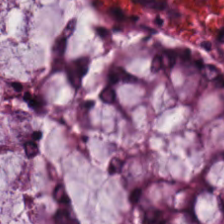0.5 microns per pixel; FFPE; H&E-stained tissue section.
Q: What is shown here?
A: Non-neoplastic colon mucosa.
